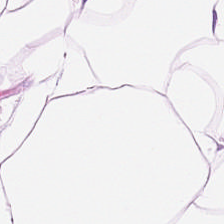Hematoxylin and eosin. Formalin-fixed paraffin-embedded section. Fat tissue.
